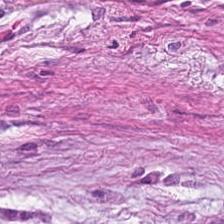H&E — tumor stroma.
